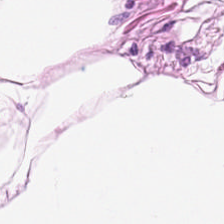WSI patch. Hematoxylin and eosin. Adipose tissue.
